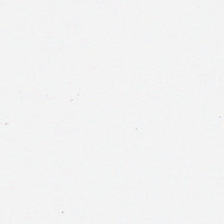Stain: hematoxylin and eosin.
Resolution: 20× equivalent magnification.
Content: background (no tissue).
